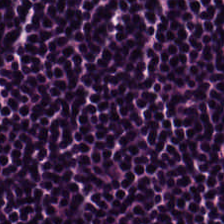H&E stain; 0.5 µm per pixel — {"tissue_type": "lymphocyte aggregate"}
